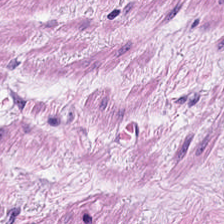224×224 px patch. FFPE. Hematoxylin-and-eosin stained section.
Q: What tissue type is shown here?
A: This is smooth muscle.
